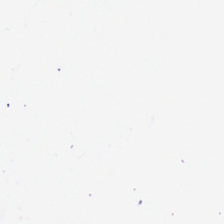Stain: H&E-stained tissue section.
Classification: background.
